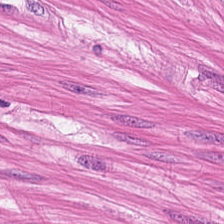H&E stain — The predominant tissue is muscularis.
